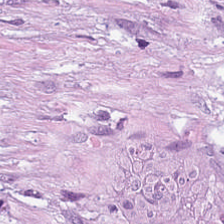Stain: H&E.
Tile size: 224×224 pixel tile.
Acquisition: brightfield.
Tissue: desmoplastic stroma.
